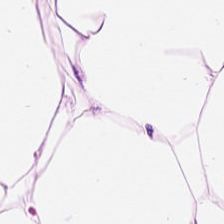Hematoxylin and eosin · 0.5 µm per pixel — Adipose tissue.
